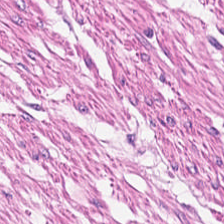H&E — This patch shows smooth muscle.
